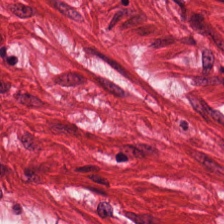H&E stain.
Tissue type — smooth-muscle tissue.
